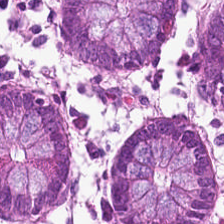Q: What tissue is shown?
A: This is benign colonic mucosa.
